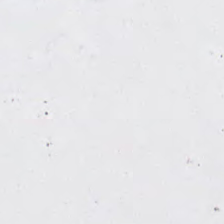224×224 px patch. H&E-stained tissue section — Background — no tissue in this field.
